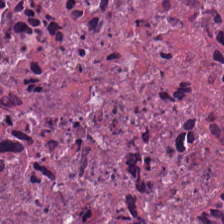Hematoxylin-and-eosin stained section — The predominant tissue is debris.
